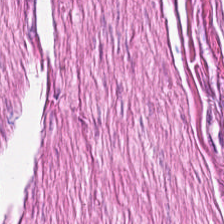H&E. Impression → smooth-muscle tissue.
